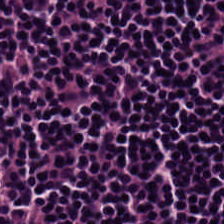H&E — Predominantly lymphoid infiltrate.
